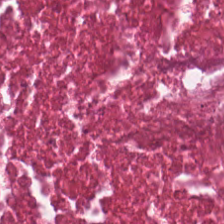H&E stain; 0.5 microns per pixel; brightfield microscopy.
Classification — cellular debris.
